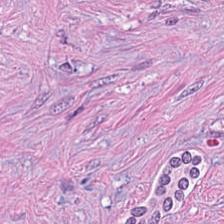Hematoxylin-and-eosin stained section · 224×224 pixel tile. Tissue type — desmoplastic stroma.
